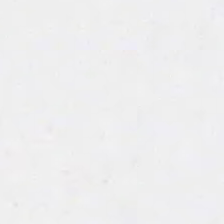Content = empty background.
